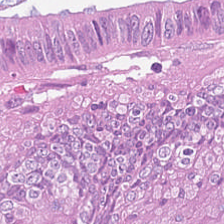Impression → colorectal adenocarcinoma.
